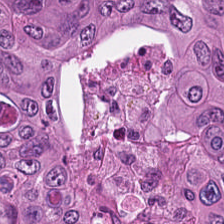Hematoxylin-and-eosin stained section — The predominant tissue is colorectal adenocarcinoma.
